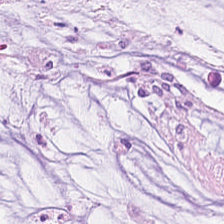Stain: H&E.
Tissue: mucus.
